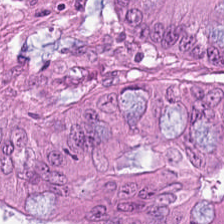H&E.
The tissue type is malignant epithelium.
